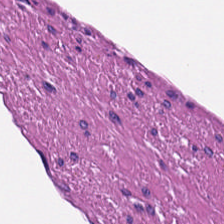Hematoxylin-and-eosin stained section. The predominant tissue is smooth muscle.
